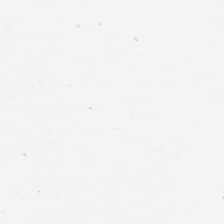Hematoxylin-and-eosin stained section; 0.5 microns per pixel — Impression → background (no tissue).
